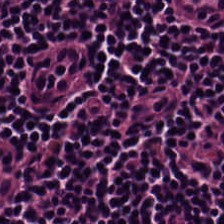H&E. Q: What tissue is shown?
A: This is lymphocytes.
